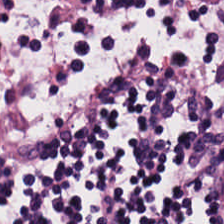224×224 px tile · hematoxylin and eosin · whole-slide-image patch.
Histology — lymphocytic infiltrate.
